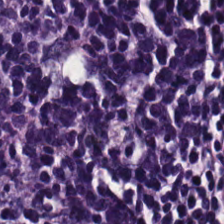Hematoxylin-and-eosin stained section; 224×224 px tile — {"tissue_type": "lymphoid infiltrate"}
